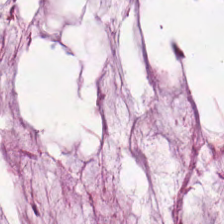H&E stain.
Tissue class — extracellular mucin.
